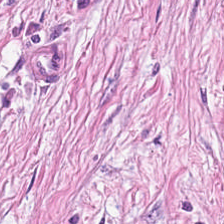H&E. Desmoplastic stroma.
